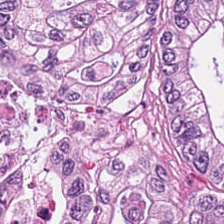H&E stain; whole-slide-image patch — Tissue class = malignant epithelium.
